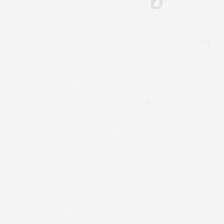H&E stain — Classification = no tissue.
